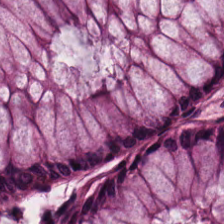Hematoxylin and eosin.
Showing normal colonic mucosa.
